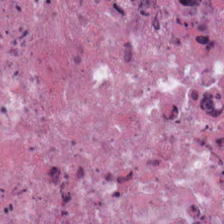H&E-stained tissue section — Predominantly cellular debris.
